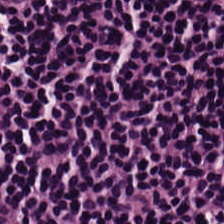Whole-slide-image patch · H&E-stained tissue section — Classification — lymphocytic infiltrate.
